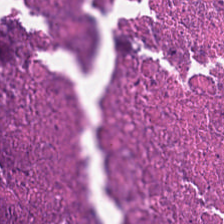Hematoxylin and eosin · FFPE. Q: What tissue is shown?
A: This is cellular debris.
